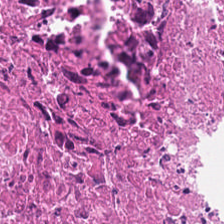Finding → cellular debris.
